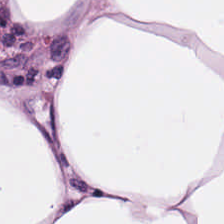H&E.
Q: Identify the tissue.
A: The field shows adipose.
